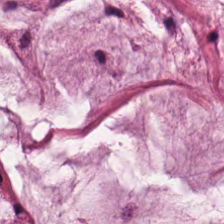Whole-slide-image patch; 0.5 µm per pixel; H&E-stained tissue section. This field is extracellular mucin.
